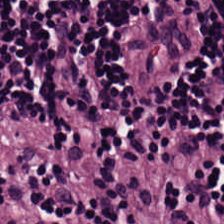Hematoxylin and eosin. Tissue = lymphoid infiltrate.
